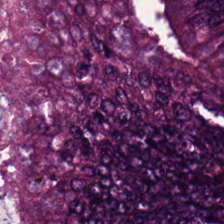224×224 px patch. Hematoxylin-and-eosin stained section — This field is colorectal adenocarcinoma.
